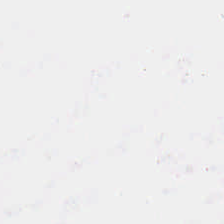H&E. Q: Classify this patch.
A: The field shows no tissue.
